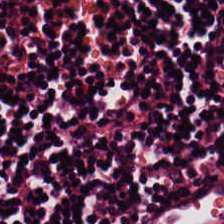Brightfield. H&E stain. 224×224 px tile.
Tissue type = lymphocytes.
